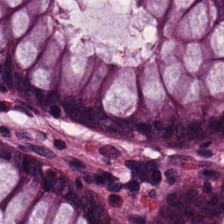Hematoxylin and eosin · 224×224 px patch. Tissue = non-neoplastic colon mucosa.
